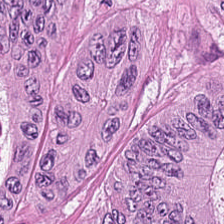H&E-stained tissue section.
The predominant tissue is adenocarcinoma.
